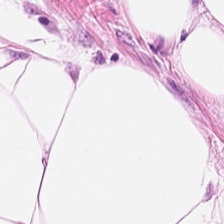H&E stain. Predominantly fat tissue.
